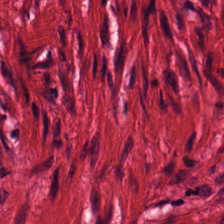H&E-stained tissue section · 224×224 px tile · FFPE. Impression — smooth-muscle tissue.
